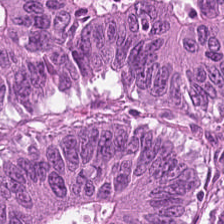H&E-stained tissue section — The predominant tissue is colorectal adenocarcinoma.
